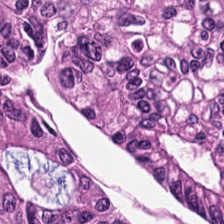Stain: H&E stain.
Predominant tissue: colorectal adenocarcinoma epithelium.
